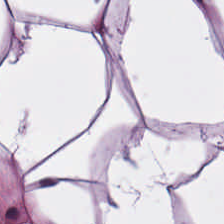Hematoxylin-and-eosin stained section.
Finding → adipocytes.
